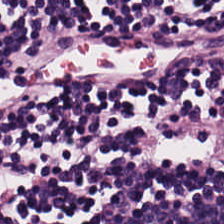Brightfield microscopy. FFPE. Hematoxylin and eosin. Tissue class = lymphocytes.
